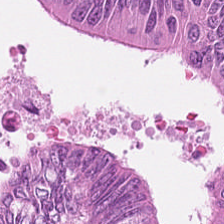Hematoxylin-and-eosin stained section.
Classification = adenocarcinoma.
